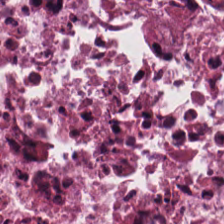Hematoxylin-and-eosin section: debris.
